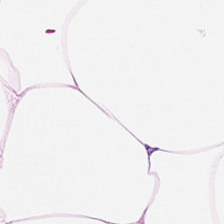Tissue type: adipocytes.
